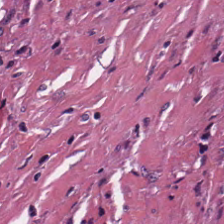H&E stain. The predominant tissue is debris.
